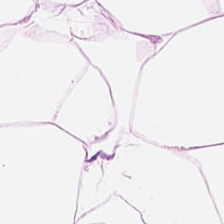H&E-stained tissue section. Q: What is the predominant tissue type?
A: This is adipose tissue.
